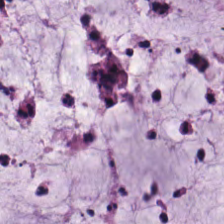The predominant tissue is extracellular mucin.
